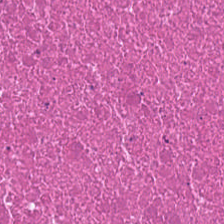Stain: H&E-stained tissue section.
Preparation: FFPE.
Predominant tissue: cellular debris.
